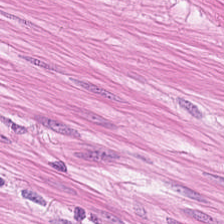Stain: hematoxylin and eosin.
Classification: muscularis.
